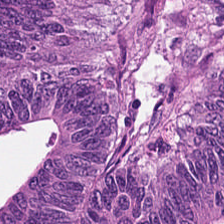Stain: H&E-stained tissue section.
Predominant tissue: colorectal adenocarcinoma epithelium.
